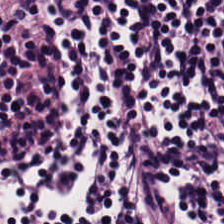224×224 pixel tile; 0.5 µm per pixel; hematoxylin and eosin. The tissue here is lymphoid infiltrate.
